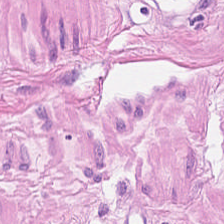224×224 px tile. Hematoxylin-and-eosin stained section. Smooth-muscle tissue.
